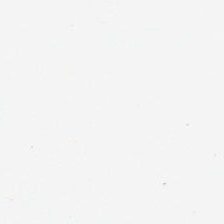H&E stain.
No tissue present; background only.
